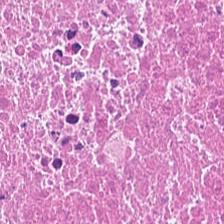H&E.
The predominant tissue is necrotic debris.
